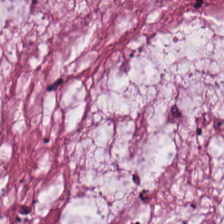Hematoxylin-and-eosin stained section. Whole-slide-image patch — Impression — mucin.
